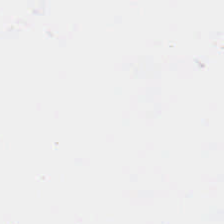Impression → empty background.
